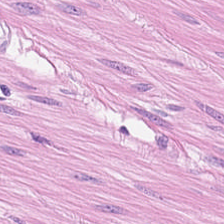Q: What type of tissue is this?
A: The field shows smooth-muscle tissue.
